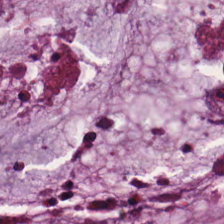Hematoxylin and eosin; 0.5 µm/px. The tissue type is extracellular mucin.
